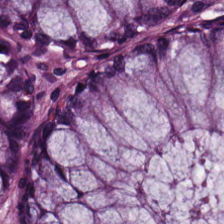Normal colonic mucosa.
